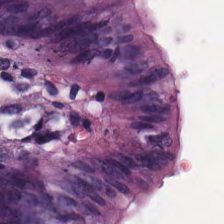Hematoxylin-and-eosin stained section.
Tissue = benign colonic mucosa.
